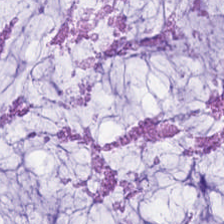Hematoxylin and eosin — {"tissue_type": "mucus"}
